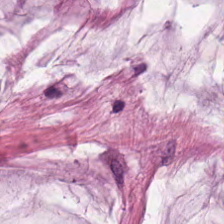H&E-stained tissue section · 224×224 px patch. The tissue here is mucin.
